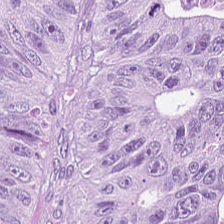224×224 px tile; brightfield microscopy; hematoxylin and eosin — The predominant tissue is colorectal adenocarcinoma epithelium.
